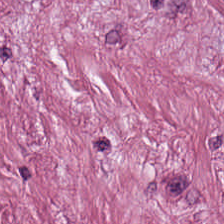224×224 px patch; hematoxylin-and-eosin stained section.
Tissue type — tumor stroma.
